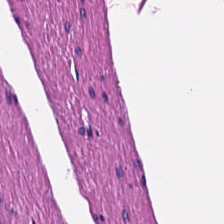224×224 px tile; H&E stain. Q: What is shown in this field?
A: This is smooth muscle.
